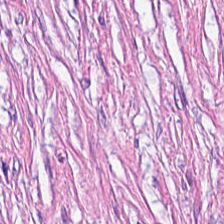H&E stain.
Predominant tissue — cancer-associated stroma.
